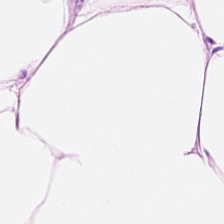This patch shows adipose.
